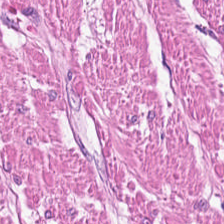224×224 pixel tile; hematoxylin and eosin. Tissue class — smooth-muscle tissue.
